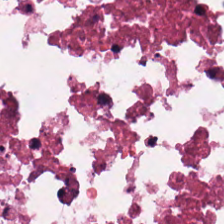H&E-stained tissue section. 224×224 px patch. The tissue here is necrotic debris.
